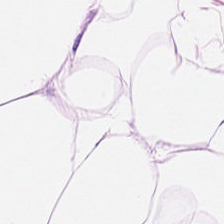Hematoxylin-and-eosin section: fat tissue.
